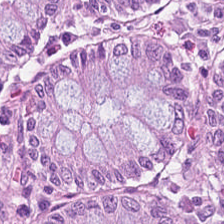Tissue type — normal colon mucosa.
